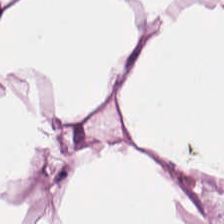The predominant tissue is adipocytes.
